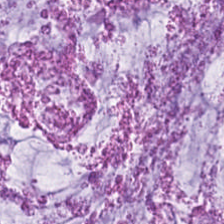Impression → mucus.
